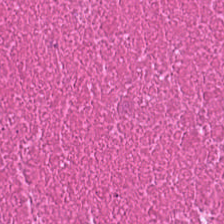Hematoxylin and eosin.
Predominantly cellular debris.
